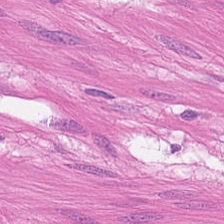FFPE tissue section · H&E-stained tissue section · 0.5 microns per pixel — Predominantly muscularis.
